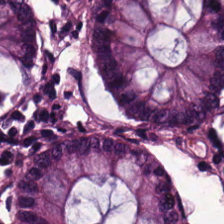Stain: hematoxylin-and-eosin stained section.
Predominant tissue: non-neoplastic colon mucosa.
